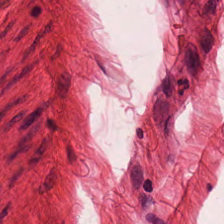Hematoxylin and eosin; FFPE tissue section. Showing muscularis.
